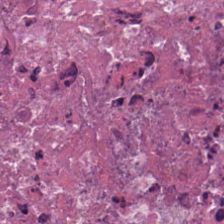Whole-slide-image patch · hematoxylin-and-eosin stained section · 0.5 microns per pixel.
Q: What type of tissue is this?
A: The field shows cellular debris.
